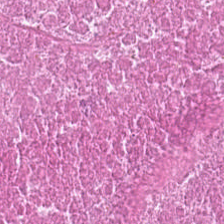0.5 µm per pixel; WSI patch; H&E.
Showing debris.
